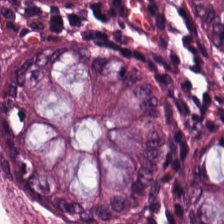Hematoxylin and eosin. Tissue = normal colon mucosa.
